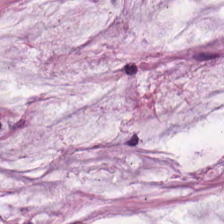FFPE. H&E stain.
Impression → extracellular mucin.
